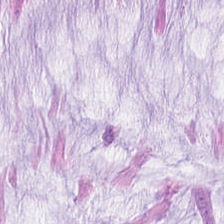H&E stain. 224×224 pixel tile. Predominant tissue — mucin.
